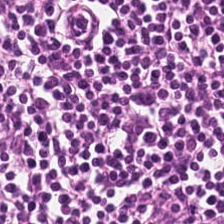Stain: H&E-stained tissue section.
Tissue: lymphocyte aggregate.
